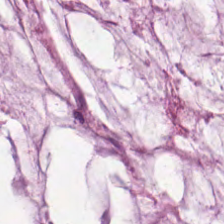H&E — The tissue here is mucus.
